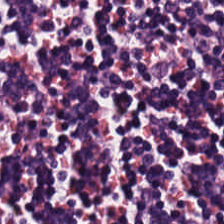Stain: hematoxylin and eosin.
Predominant tissue: lymphoid infiltrate.
